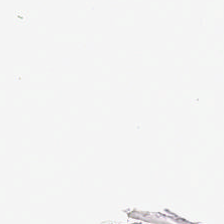224×224 px tile · H&E stain · formalin-fixed paraffin-embedded section. Q: What does this patch show?
A: It is background (no tissue).
